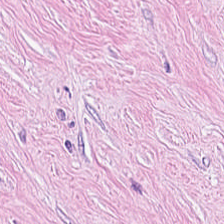H&E-stained tissue section.
The classification is tumor stroma.
